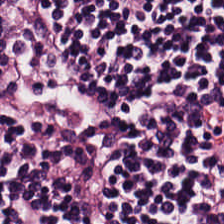H&E stain.
Q: What tissue type is shown here?
A: Lymphoid infiltrate.
